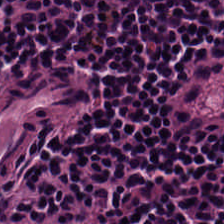Brightfield · formalin-fixed paraffin-embedded section · hematoxylin-and-eosin stained section — {"tissue_type": "lymphoid infiltrate"}
